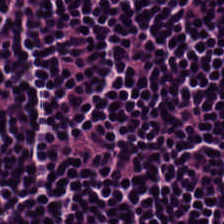Hematoxylin and eosin; brightfield microscopy; 0.5 µm per pixel — Tissue = lymphocyte aggregate.
